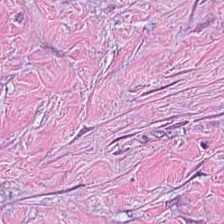Q: Classify this patch.
A: This is tumor-associated stroma.
